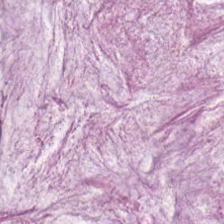Brightfield · H&E. The predominant tissue is mucus.
